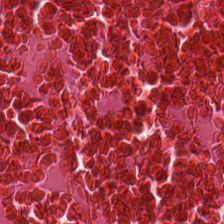Hematoxylin and eosin — The tissue here is debris.
